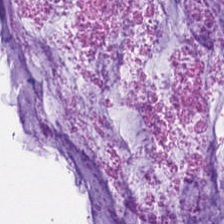H&E-stained tissue section.
Tissue class — mucus.
